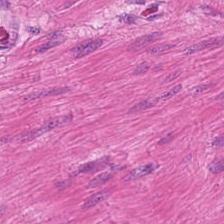0.5 microns per pixel; H&E.
The predominant tissue is muscularis.
